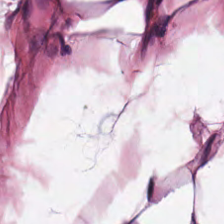Brightfield · H&E-stained tissue section — Tissue type = adipocytes.
